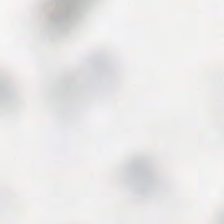The content is background (no tissue).
